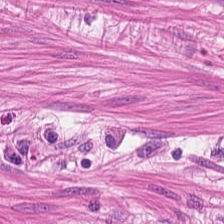Hematoxylin-and-eosin stained section · 224×224 px patch. Histology → muscularis.
